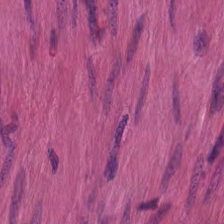WSI patch · 0.5 microns per pixel · H&E-stained tissue section. This field is smooth-muscle tissue.
